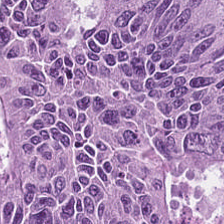WSI patch · H&E — Q: What is shown here?
A: It is adenocarcinoma.
